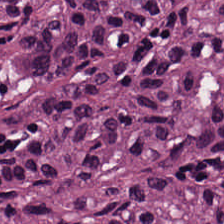Whole-slide-image patch. H&E-stained tissue section — The tissue here is malignant epithelium.
